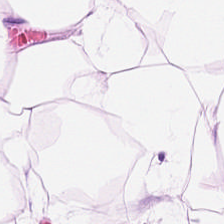H&E stain.
Q: What is shown in this field?
A: It is adipocytes.
